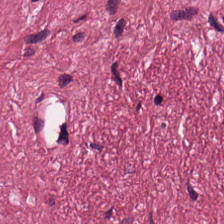FFPE tissue section · 224×224 pixel tile · H&E-stained tissue section — Q: What tissue is shown?
A: This is desmoplastic stroma.
